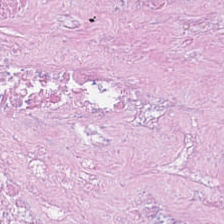Hematoxylin-and-eosin stained section. Cellular debris.
